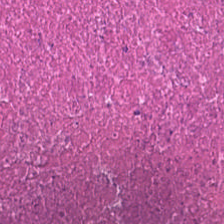Q: What does this patch show?
A: Necrotic debris.
